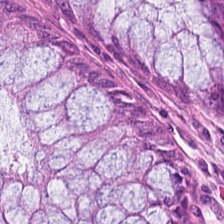224×224 pixel tile · H&E-stained tissue section · FFPE tissue section. Tissue = normal colon mucosa.
